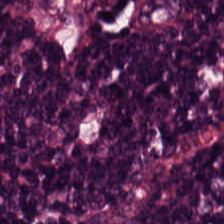Hematoxylin-and-eosin section: lymphocytic infiltrate.
